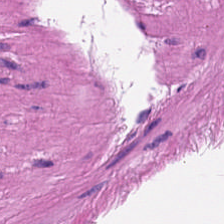Stain: H&E.
Tissue class: muscularis.
